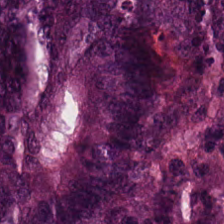Whole-slide-image patch. H&E-stained tissue section.
Tumor epithelium.
